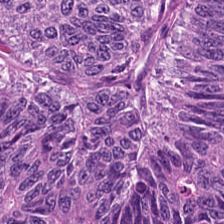The tissue is malignant epithelium.
